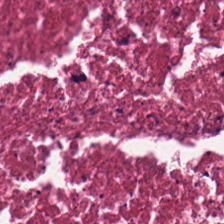FFPE. H&E. Debris.
